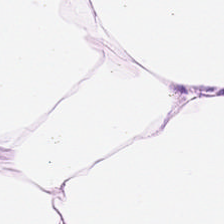Hematoxylin and eosin. Formalin-fixed paraffin-embedded section — Predominantly adipose tissue.
